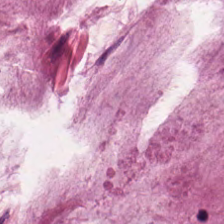WSI patch · hematoxylin and eosin.
The tissue here is extracellular mucin.
